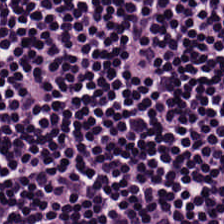Classification = lymphocytic infiltrate.
